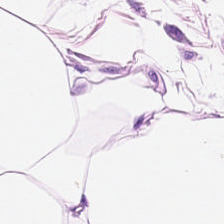Stain: hematoxylin and eosin.
Resolution: 0.5 µm/px.
Classification: fat tissue.
